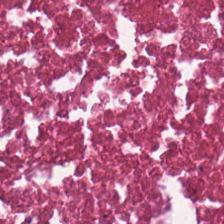Hematoxylin-and-eosin stained section. 0.5 microns per pixel — Tissue class = necrotic debris.
